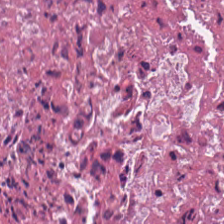Stain: hematoxylin and eosin.
Tissue type: necrotic debris.
